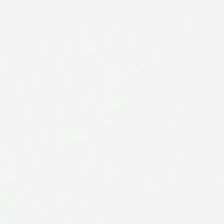Formalin-fixed paraffin-embedded section · H&E stain — Classification = background (no tissue).
